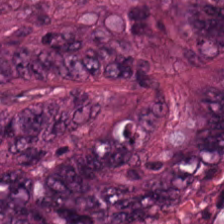H&E-stained tissue section — Classification — mucus.
